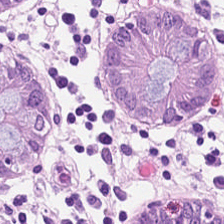FFPE tissue section; brightfield microscopy; H&E-stained tissue section — Q: What tissue is shown?
A: Normal colonic mucosa.
